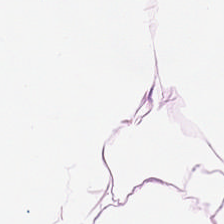H&E stain. {"tissue_type": "fat tissue"}
